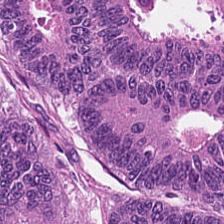Hematoxylin-and-eosin stained section.
The tissue here is malignant epithelium.
